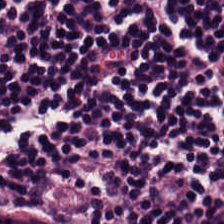Whole-slide-image patch. 0.5 µm per pixel. Hematoxylin-and-eosin stained section — Classification: lymphocyte aggregate.
